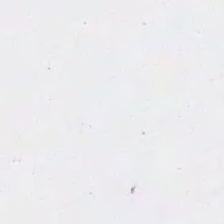Stain: H&E-stained tissue section.
Content: background.
